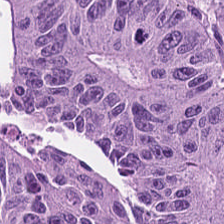H&E stain. Tissue class — adenocarcinoma.
